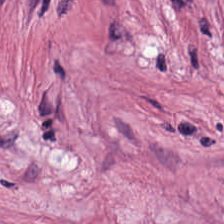Hematoxylin and eosin · brightfield — Tumor-associated stroma.
